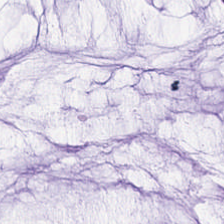H&E stain. {"tissue_type": "mucin"}
